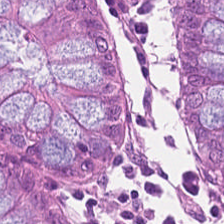224×224 pixel tile. H&E-stained tissue section — The predominant tissue is normal colonic mucosa.
